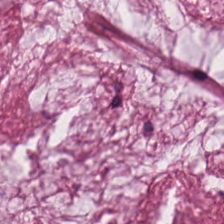H&E. The predominant tissue is extracellular mucin.
